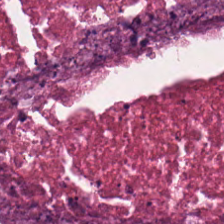FFPE · H&E stain · 20× equivalent magnification.
{"tissue_type": "necrotic debris"}
